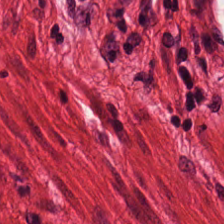Stain: H&E-stained tissue section.
Tile size: 224×224 px tile.
Preparation: formalin-fixed paraffin-embedded section.
Predominant tissue: muscularis.
